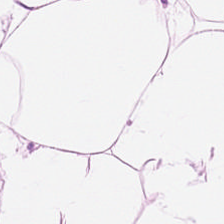20× equivalent magnification. H&E.
Histology → adipocytes.
